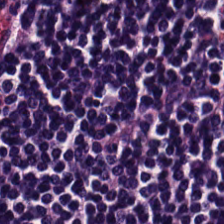Stain: H&E.
Resolution: 20× equivalent magnification.
Preparation: FFPE.
Tissue class: lymphocyte aggregate.
